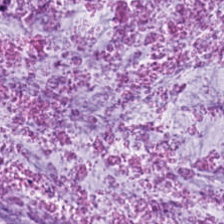Formalin-fixed paraffin-embedded section · H&E stain — Tissue class = extracellular mucin.
